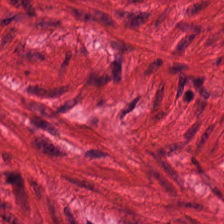Formalin-fixed paraffin-embedded section; hematoxylin and eosin — Smooth muscle.
